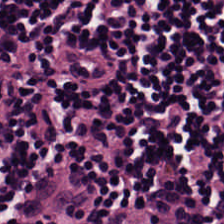H&E — lymphocytic infiltrate.
